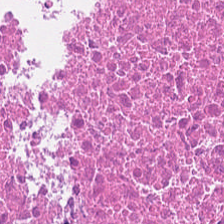Hematoxylin and eosin — The classification is debris.
